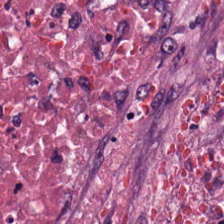Stain: H&E stain.
Tissue class: debris.
